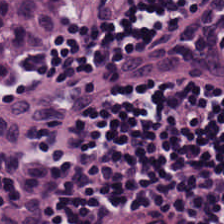H&E · FFPE tissue section. The tissue type is lymphocytic infiltrate.
